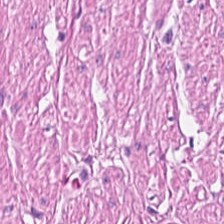Tissue class — smooth-muscle tissue.
